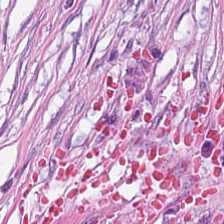H&E-stained tissue section — Tissue: desmoplastic stroma.
